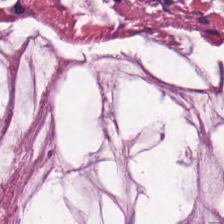Classification = mucus.
